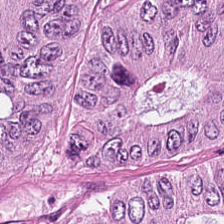H&E-stained tissue section — This patch shows colorectal adenocarcinoma epithelium.
